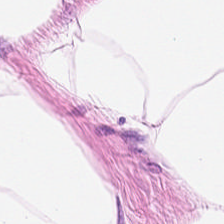H&E — adipocytes.
